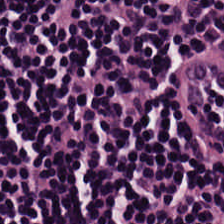Stain: hematoxylin and eosin.
Tissue class: lymphocytic infiltrate.
